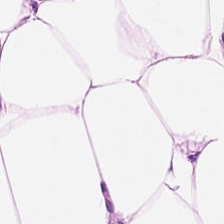Histology — adipose.
